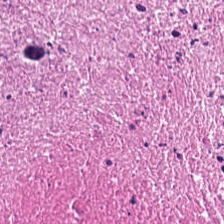Stain: hematoxylin and eosin.
Preparation: formalin-fixed paraffin-embedded section.
Classification: debris.
